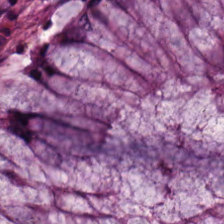H&E stain · 224×224 px tile.
The tissue here is non-neoplastic colon mucosa.
